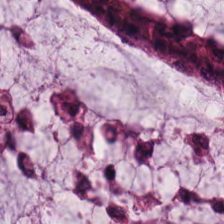Tissue type — mucus.
